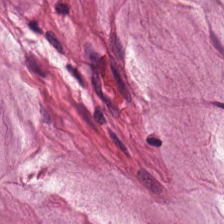Predominant tissue = mucin.
